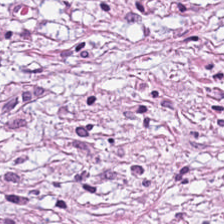Hematoxylin-and-eosin stained section — The predominant tissue is tumor-associated stroma.
